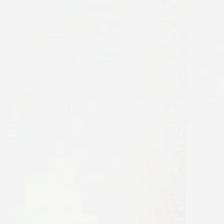FFPE tissue section. Hematoxylin and eosin. 224×224 pixel tile — Q: What is shown in this field?
A: This is no tissue.
